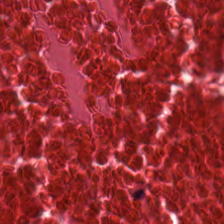224×224 px tile · H&E stain. Necrotic debris.
